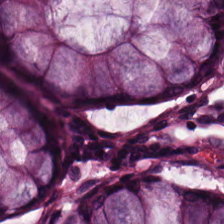Hematoxylin-and-eosin section: normal colon mucosa.
